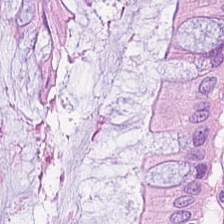224×224 px tile. H&E-stained tissue section — Tissue — normal colonic mucosa.
